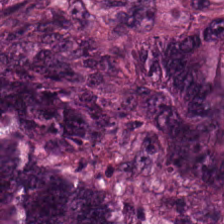0.5 µm/px; WSI patch; H&E. This patch shows colorectal adenocarcinoma.
